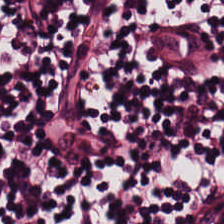Hematoxylin-and-eosin stained section.
Finding → lymphocytic infiltrate.
